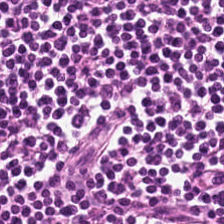Hematoxylin-and-eosin stained section — The tissue is lymphoid infiltrate.
